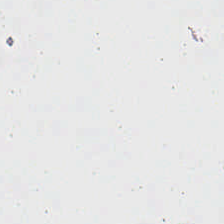224×224 pixel tile; H&E-stained tissue section; formalin-fixed paraffin-embedded section. Q: What does this patch show?
A: No tissue.
